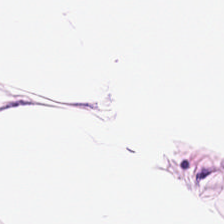H&E stain · FFPE · 224×224 px patch — {"tissue_type": "adipocytes"}
